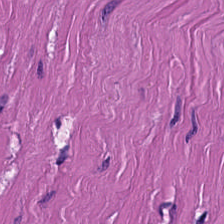Q: What is shown in this field?
A: This is smooth muscle.
